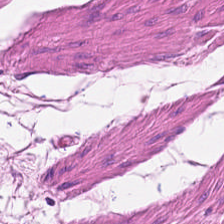H&E stain — Showing muscularis.
